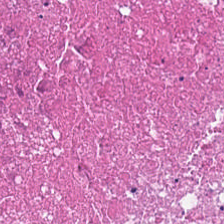Hematoxylin-and-eosin stained section. 224×224 px patch.
Q: What tissue is shown?
A: This is necrotic debris.
